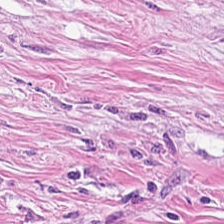FFPE tissue section; hematoxylin and eosin; 0.5 microns per pixel.
This field is tumor-associated stroma.
